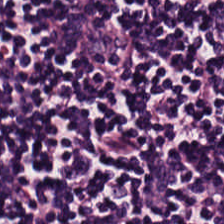H&E.
Lymphoid infiltrate.
